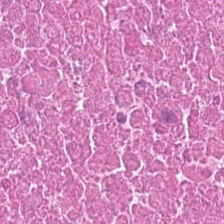FFPE. Hematoxylin and eosin. 224×224 pixel tile. Tissue class — necrotic debris.
